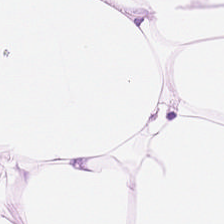H&E stain — Finding → adipocytes.
